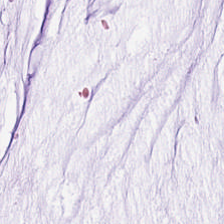Q: What does this patch show?
A: It is mucin.
